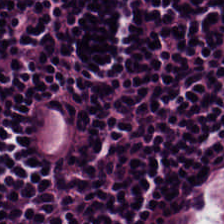Brightfield microscopy · H&E stain — The predominant tissue is lymphocytes.
